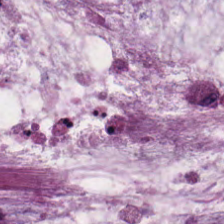Brightfield. Formalin-fixed paraffin-embedded section. H&E-stained tissue section.
Q: What type of tissue is this?
A: The field shows extracellular mucin.
